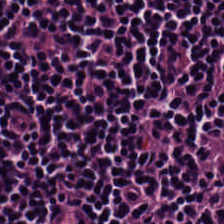0.5 µm per pixel; 224×224 px tile; H&E stain. The predominant tissue is lymphocyte aggregate.
